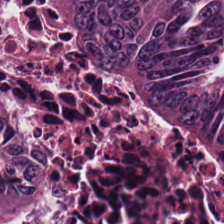Hematoxylin-and-eosin stained section; WSI patch — Predominant tissue = malignant epithelium.
